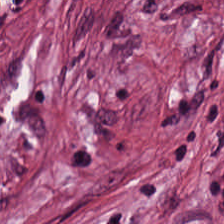Hematoxylin and eosin · 0.5 µm/px.
{"tissue_type": "tumor-associated stroma"}
